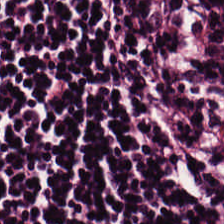H&E — The tissue here is lymphocytic infiltrate.
